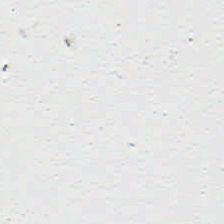Stain: H&E.
Acquisition: brightfield.
Tile size: 224×224 px tile.
Field content: no tissue.
